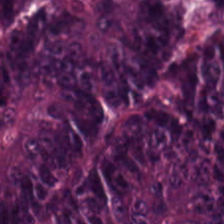Hematoxylin and eosin.
The predominant tissue is adenocarcinoma.
